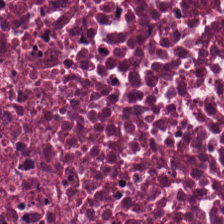Hematoxylin and eosin. This patch shows debris.
